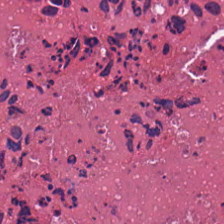H&E-stained tissue section. {"tissue_type": "cellular debris"}
